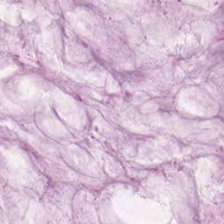Hematoxylin and eosin; whole-slide-image patch.
Impression — extracellular mucin.
